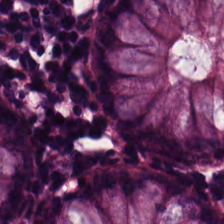Hematoxylin-and-eosin stained section — Predominantly normal colonic mucosa.
